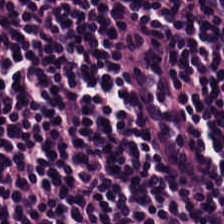Stain: hematoxylin-and-eosin stained section.
Tile size: 224×224 px tile.
Acquisition: WSI patch.
Predominant tissue: lymphocytic infiltrate.
